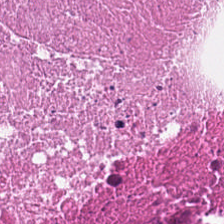Hematoxylin and eosin — Impression — necrotic debris.
